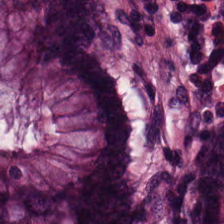H&E-stained tissue section.
Tissue type — normal colonic mucosa.
